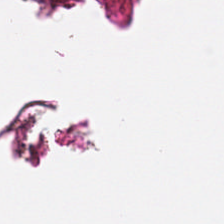Q: What does this patch show?
A: The field shows no tissue.
